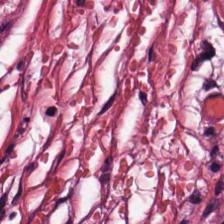H&E patch showing tumor-associated stroma.
